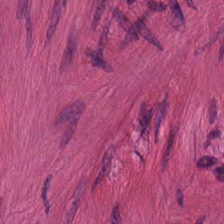Hematoxylin and eosin. This patch shows smooth muscle.
